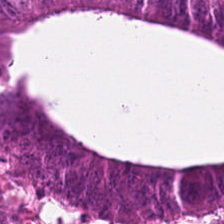Q: What tissue type is shown here?
A: It is tumor epithelium.
